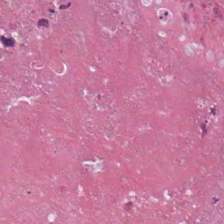Necrotic debris.
